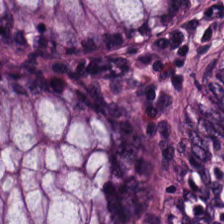Stain: hematoxylin and eosin.
Tissue: normal colon mucosa.
